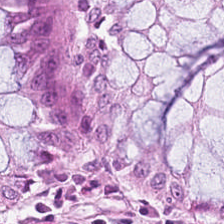H&E; 0.5 µm per pixel.
This patch shows benign colonic mucosa.
